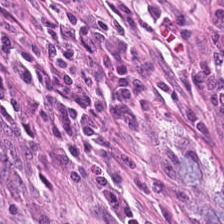Predominant tissue — normal colonic mucosa.
